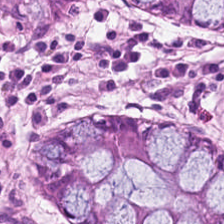Tissue type — normal colon mucosa.
